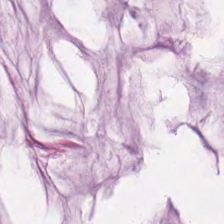Hematoxylin and eosin.
Q: What is shown in this field?
A: This is mucus.
